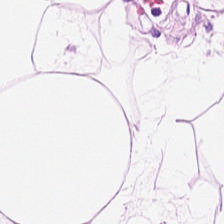H&E-stained tissue section.
Q: What does this patch show?
A: This is fat tissue.
